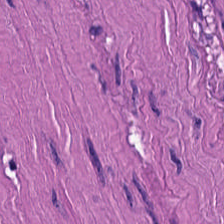Stain: H&E.
Tissue class: muscularis.
